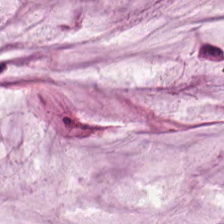224×224 px patch. H&E-stained tissue section. This patch shows mucus.
